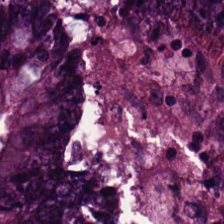Q: Identify the tissue.
A: Colorectal adenocarcinoma.
